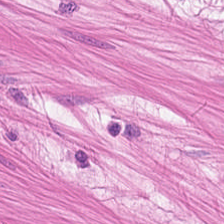H&E-stained tissue section — Tissue — muscularis.
